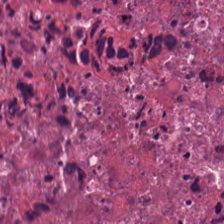FFPE tissue section · whole-slide-image patch · H&E-stained tissue section.
The tissue here is debris.
